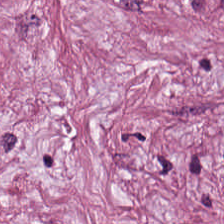H&E-stained tissue section · 224×224 px tile · FFPE. Tissue type: desmoplastic stroma.
